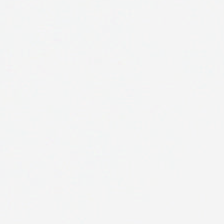Brightfield; hematoxylin-and-eosin stained section. Impression — no tissue.
